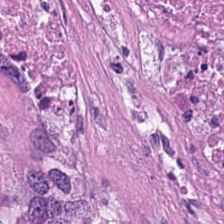Formalin-fixed paraffin-embedded section; hematoxylin and eosin — The predominant tissue is necrotic debris.
